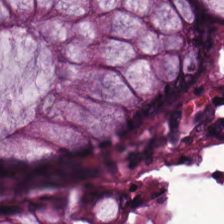0.5 microns per pixel · H&E stain.
Q: What is the predominant tissue type?
A: This is normal colonic mucosa.
